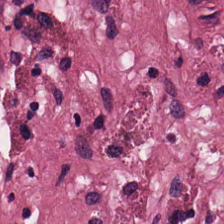Stain: H&E.
Acquisition: brightfield.
Resolution: 0.5 µm per pixel.
Tissue type: tumor-associated stroma.
